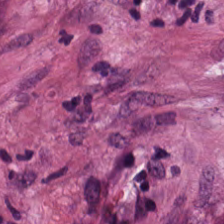Hematoxylin and eosin; formalin-fixed paraffin-embedded section.
Q: Identify the tissue.
A: This is tumor stroma.
